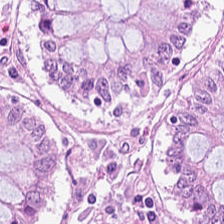The tissue is normal colon mucosa.
